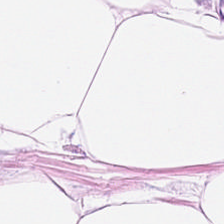The tissue is fat tissue.
